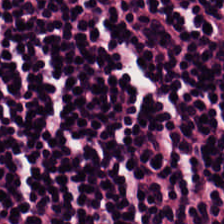H&E-stained tissue section.
Tissue: lymphocyte aggregate.
